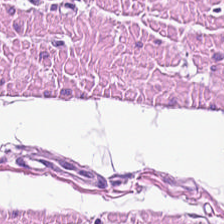{"tissue_type": "muscularis"}
